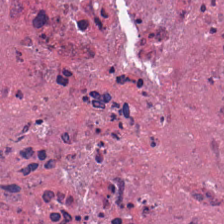H&E stain.
Tissue — cellular debris.
